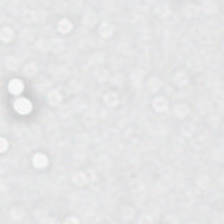WSI patch · H&E-stained tissue section.
No tissue present; background only.
